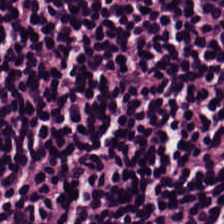Hematoxylin and eosin; 0.5 microns per pixel. Tissue type = lymphoid infiltrate.
